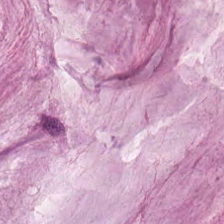Stain: H&E.
Resolution: 20× equivalent magnification.
Tissue type: mucin.
